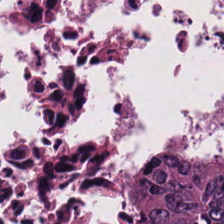H&E-stained tissue section; 0.5 µm/px. Tissue type: malignant epithelium.
